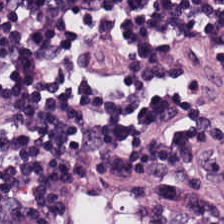H&E-stained tissue section.
The tissue is lymphocytic infiltrate.
